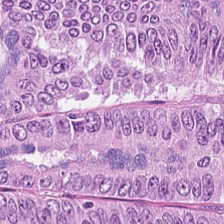Q: Classify this patch.
A: The field shows malignant epithelium.
